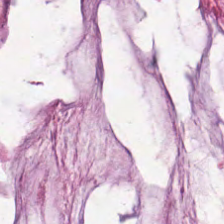This patch shows extracellular mucin.
